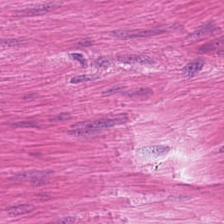Finding — smooth-muscle tissue.
